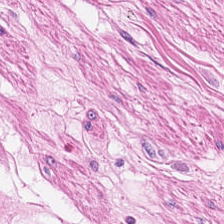0.5 µm per pixel. Hematoxylin-and-eosin stained section. The predominant tissue is muscularis.
